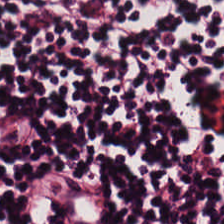Hematoxylin and eosin. Tissue type — lymphocytes.
